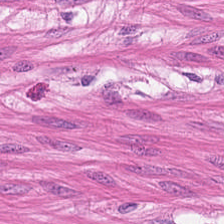H&E.
Smooth muscle.
